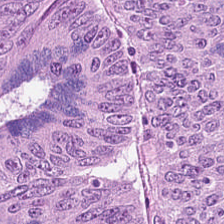H&E stain; 224×224 px patch; 0.5 µm per pixel — This field is malignant epithelium.
